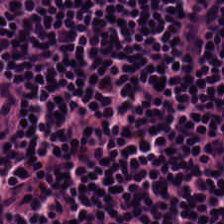Histology → lymphoid infiltrate.
